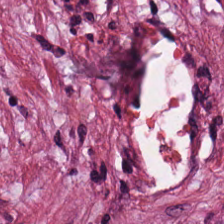Hematoxylin and eosin.
The predominant tissue is tumor-associated stroma.
